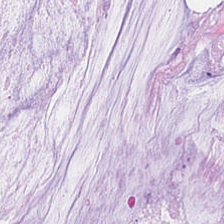0.5 µm/px. Hematoxylin-and-eosin stained section.
The predominant tissue is mucus.
